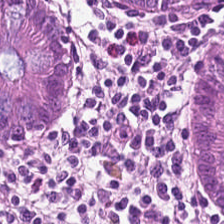Hematoxylin and eosin. The tissue here is non-neoplastic colon mucosa.
